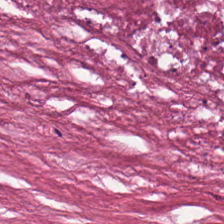20× equivalent magnification. H&E-stained tissue section. Predominantly cellular debris.
